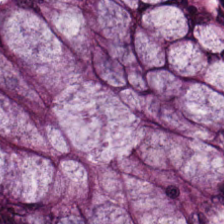H&E. The predominant tissue is normal colonic mucosa.
